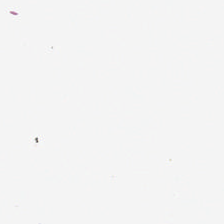Stain: H&E stain.
Content: background (no tissue).
